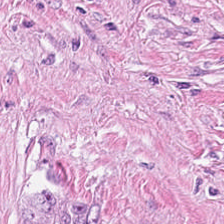H&E-stained tissue section — Tissue: desmoplastic stroma.
